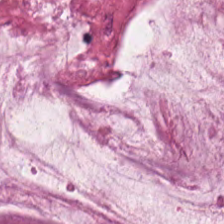Classification — extracellular mucin.
